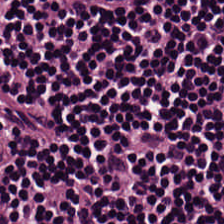224×224 pixel tile; hematoxylin and eosin.
{"tissue_type": "lymphoid infiltrate"}
